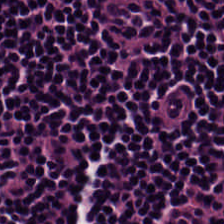H&E — This patch shows lymphocytic infiltrate.
